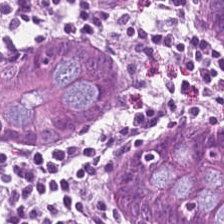H&E-stained tissue section. Q: Classify this patch.
A: It is normal colonic mucosa.
